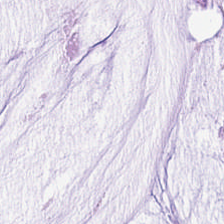Brightfield · hematoxylin and eosin. This field is mucus.
